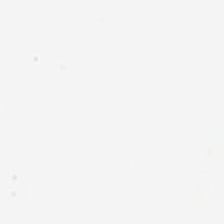H&E. FFPE tissue section — Content: empty background.
